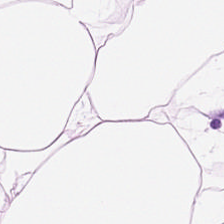Whole-slide-image patch. 0.5 µm per pixel. H&E stain. {"tissue_type": "adipocytes"}
